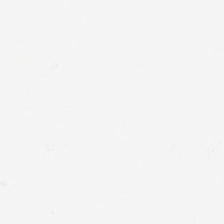FFPE; hematoxylin-and-eosin stained section. Finding → background (no tissue).
